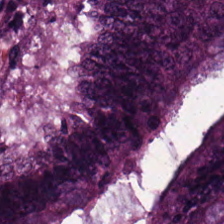H&E stain — Tissue class — adenocarcinoma.
